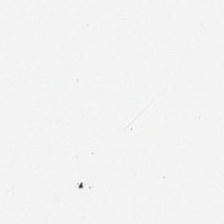H&E-stained tissue section — Q: What is shown in this field?
A: No tissue.
